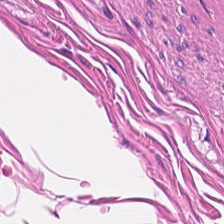224×224 px patch. Hematoxylin-and-eosin stained section. Q: What type of tissue is this?
A: This is smooth-muscle tissue.
